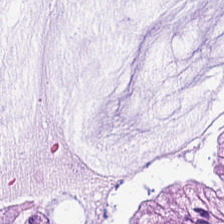Formalin-fixed paraffin-embedded section; H&E-stained tissue section.
Q: What is shown in this field?
A: Mucus.
